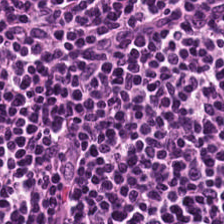FFPE tissue section. H&E. Q: What does this patch show?
A: The field shows lymphocytic infiltrate.
